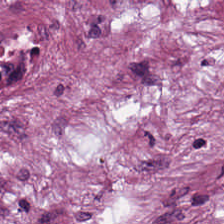{"tissue_type": "desmoplastic stroma"}
